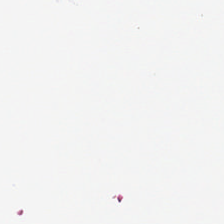H&E stain. 224×224 pixel tile.
Q: What is shown here?
A: This is empty background.
